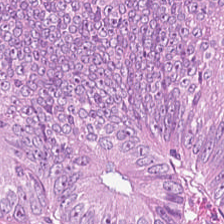H&E.
Q: Identify the tissue.
A: It is tumor epithelium.
